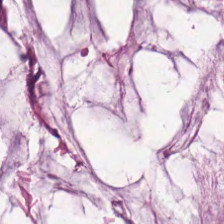H&E stain · brightfield.
This field is extracellular mucin.
